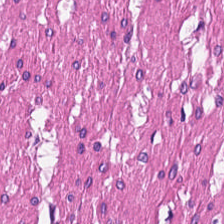Q: What type of tissue is this?
A: This is smooth muscle.
